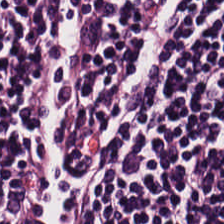The tissue class is lymphocyte aggregate.
